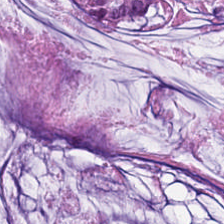Hematoxylin and eosin; 0.5 µm per pixel; 224×224 px patch — The predominant tissue is mucin.
